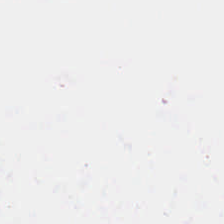224×224 pixel tile · hematoxylin-and-eosin stained section · 0.5 µm per pixel. Field content: empty background.
